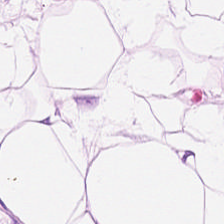Q: What is shown in this field?
A: It is adipose.
